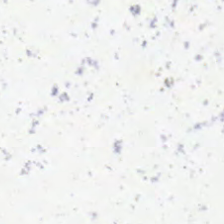Hematoxylin and eosin. Empty background.
